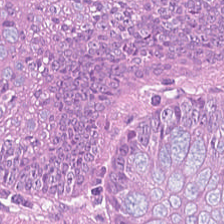0.5 microns per pixel · 224×224 px tile · hematoxylin-and-eosin stained section — Impression — malignant epithelium.
